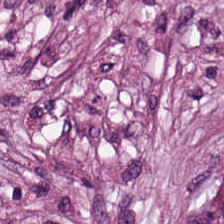FFPE tissue section · 20× equivalent magnification · hematoxylin and eosin.
Predominant tissue — desmoplastic stroma.
